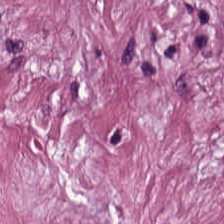H&E — desmoplastic stroma.
